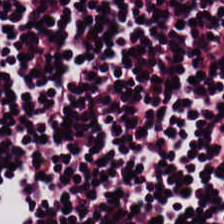Hematoxylin-and-eosin stained section; brightfield. Predominantly lymphocytes.
